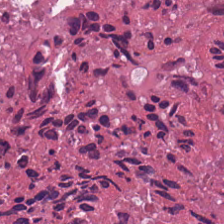{"tissue_type": "cellular debris"}
